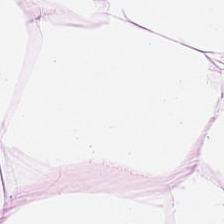{"tissue_type": "fat tissue"}
